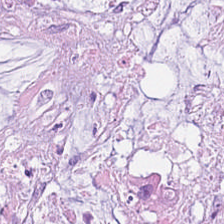Predominantly mucin.
